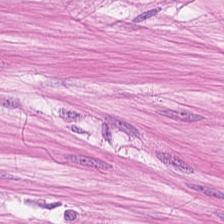Hematoxylin-and-eosin stained section; 224×224 px patch. Showing smooth muscle.
